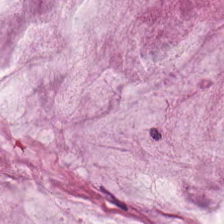FFPE · 0.5 µm per pixel · hematoxylin and eosin.
Histology → extracellular mucin.
